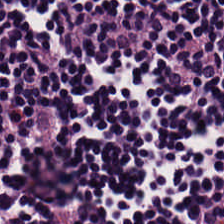Stain: hematoxylin-and-eosin stained section.
Classification: lymphocytes.
